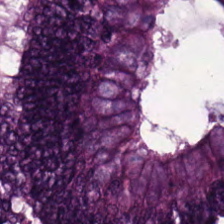H&E stain — Histology → adenocarcinoma.
